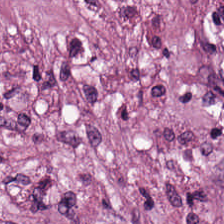Predominantly cancer-associated stroma.
